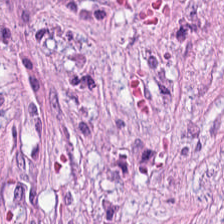Stain: hematoxylin and eosin.
Tissue class: tumor stroma.
